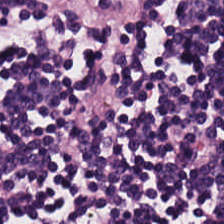H&E. This field is lymphocytic infiltrate.
